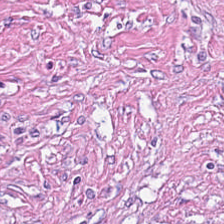224×224 px patch. H&E-stained tissue section.
The predominant tissue is tumor stroma.
